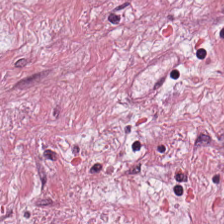Hematoxylin-and-eosin stained section.
Predominantly desmoplastic stroma.
